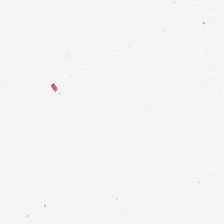0.5 µm/px. Hematoxylin-and-eosin stained section. Classification — no tissue.
